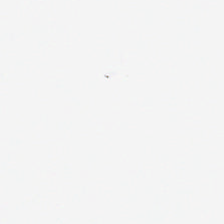H&E. Q: What is shown in this field?
A: The field shows background.
